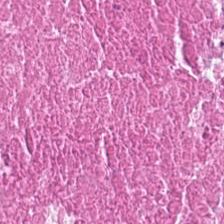H&E; FFPE tissue section. Q: What tissue is shown?
A: Debris.
